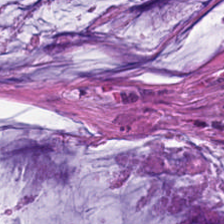Hematoxylin and eosin.
Tissue class — extracellular mucin.
